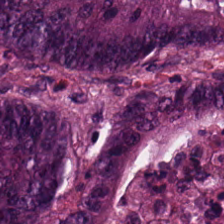Q: What type of tissue is this?
A: Colorectal adenocarcinoma.
